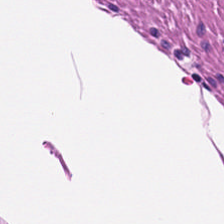Whole-slide-image patch. H&E. Formalin-fixed paraffin-embedded section.
Smooth muscle.
